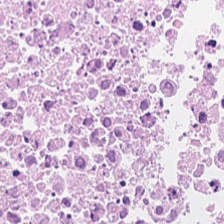Stain: H&E-stained tissue section.
Predominant tissue: necrotic debris.
